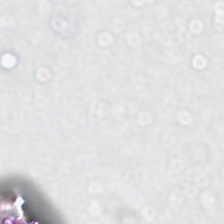H&E-stained tissue section.
Q: Classify this patch.
A: The field shows background (no tissue).
